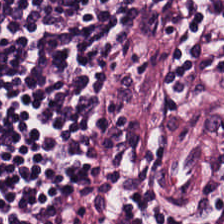Lymphocytes.
